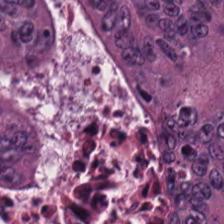Classification: colorectal adenocarcinoma.
